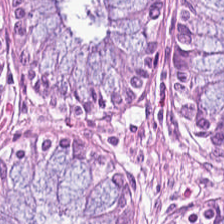Stain: H&E.
Predominant tissue: benign colonic mucosa.
